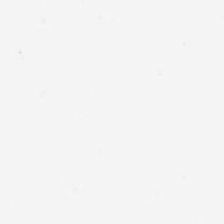H&E stain — The classification is background (no tissue).
